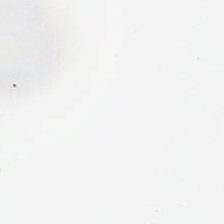Empty background.
